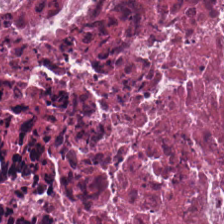FFPE; 224×224 px patch; hematoxylin and eosin.
Q: What type of tissue is this?
A: The field shows debris.
